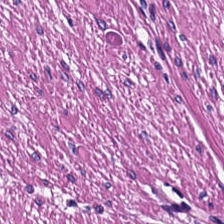0.5 µm/px; H&E stain.
Q: What is shown here?
A: Smooth-muscle tissue.
